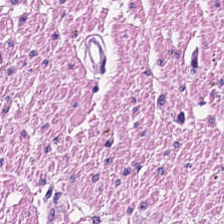H&E. The tissue class is smooth-muscle tissue.
